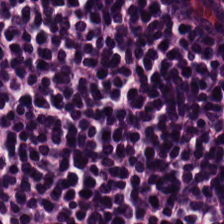224×224 px tile. Hematoxylin and eosin — This patch shows lymphocyte aggregate.
